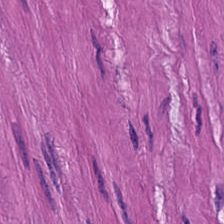H&E-stained tissue section. Q: What does this patch show?
A: The field shows smooth muscle.
